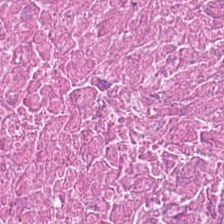224×224 pixel tile; 0.5 microns per pixel; hematoxylin and eosin — Tissue class — debris.
